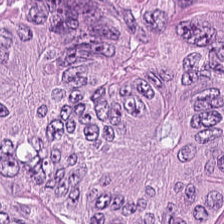H&E — Tumor epithelium.
